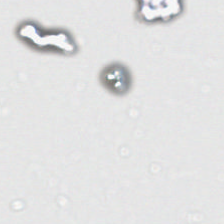0.5 microns per pixel. H&E — No tissue.
